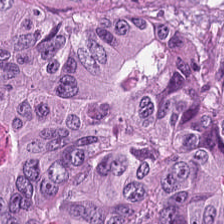H&E stain.
Tissue class — tumor epithelium.
